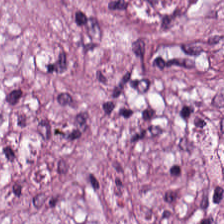H&E stain — The tissue is tumor-associated stroma.
